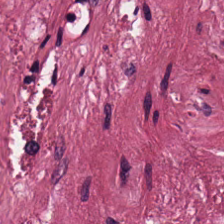H&E. 224×224 px patch. FFPE — The tissue class is cancer-associated stroma.
